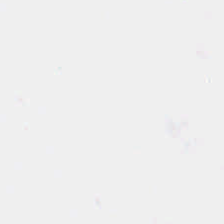Stain: H&E.
Field content: no tissue.
